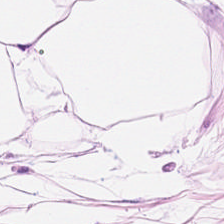Hematoxylin and eosin — This field is fat tissue.
